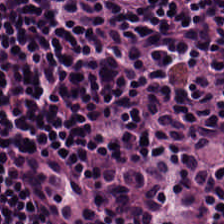H&E stain.
Q: What is shown here?
A: Lymphocyte aggregate.
